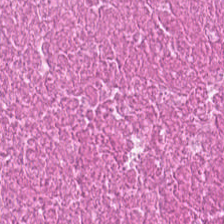Stain: hematoxylin and eosin.
Classification: necrotic debris.
